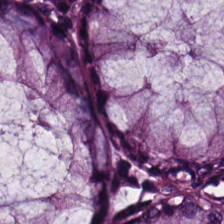Whole-slide-image patch. H&E — Predominantly non-neoplastic colon mucosa.
